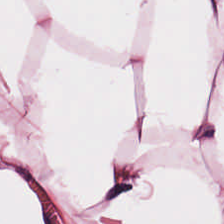Stain: H&E-stained tissue section.
Tissue class: adipose.
